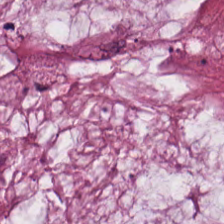Tissue type — mucin.
